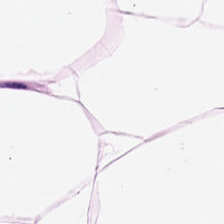0.5 microns per pixel · H&E-stained tissue section — Showing adipocytes.
